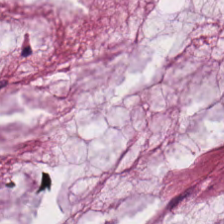H&E stain — Tissue class — mucin.
